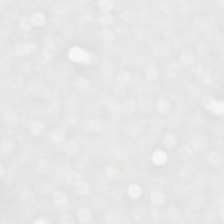20× equivalent magnification. H&E — Content = empty background.
